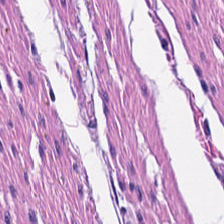H&E-stained section; the field shows muscularis.
